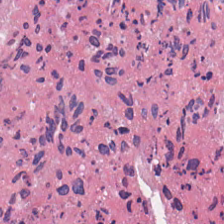Hematoxylin and eosin; 224×224 px patch. Finding → cellular debris.
